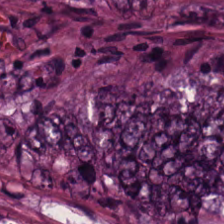WSI patch; hematoxylin and eosin. The predominant tissue is colorectal adenocarcinoma.
